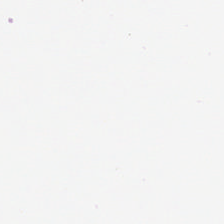H&E.
Finding — no tissue.
